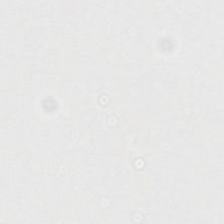Hematoxylin and eosin.
Content: background (no tissue).
